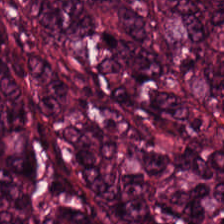Hematoxylin-and-eosin stained section.
This field is colorectal adenocarcinoma epithelium.
